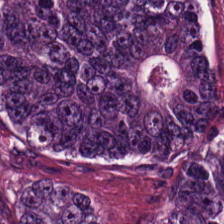Tissue — adenocarcinoma.
